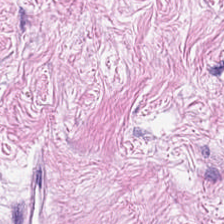Hematoxylin-and-eosin stained section. Showing tumor-associated stroma.
